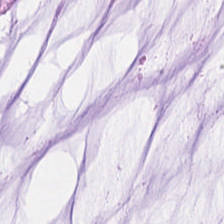Classification — extracellular mucin.
